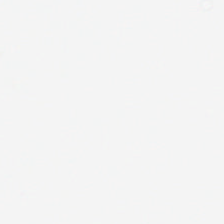H&E.
Background.
